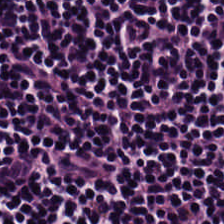H&E-stained tissue section.
Q: What tissue type is shown here?
A: The field shows lymphocytic infiltrate.
